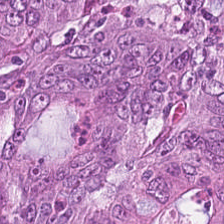Hematoxylin and eosin · 0.5 µm per pixel · 224×224 px patch — Histology → malignant epithelium.
